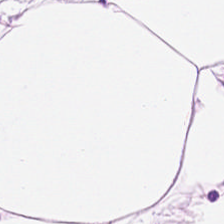Q: Identify the tissue.
A: The field shows adipose tissue.
